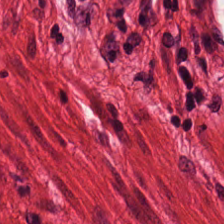Q: What tissue type is shown here?
A: Smooth-muscle tissue.
